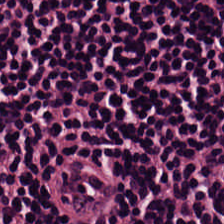Stain: H&E.
Tissue class: lymphocytes.
